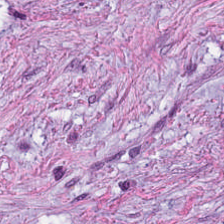224×224 pixel tile · 0.5 microns per pixel · hematoxylin-and-eosin stained section — Cancer-associated stroma.
